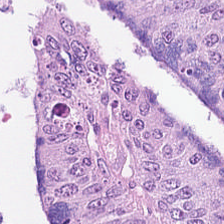Brightfield microscopy · H&E-stained tissue section. Histology → colorectal adenocarcinoma.
